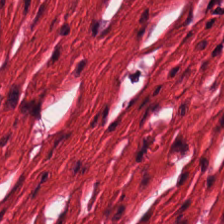H&E — Tissue class = muscularis.
